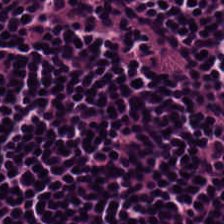The tissue is lymphocyte aggregate.
